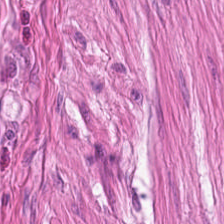Histology → muscularis.
